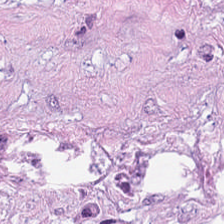Q: What is shown in this field?
A: This is tumor-associated stroma.
